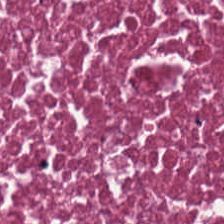Stain: hematoxylin and eosin.
Tile size: 224×224 pixel tile.
Acquisition: brightfield.
Tissue: cellular debris.
